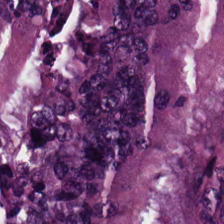H&E. Predominantly malignant epithelium.
